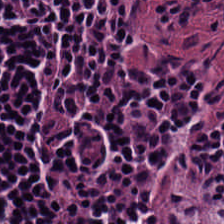Hematoxylin-and-eosin stained section; 224×224 px tile — Q: What type of tissue is this?
A: The field shows lymphocytic infiltrate.
